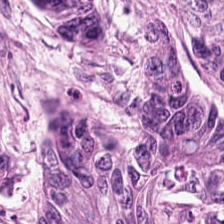Brightfield · hematoxylin-and-eosin stained section. This patch shows colorectal adenocarcinoma.
